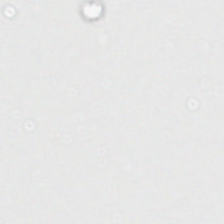Content = background (no tissue).
